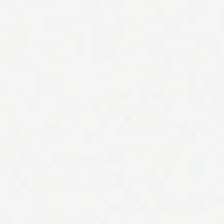Hematoxylin and eosin. Impression — no tissue.
